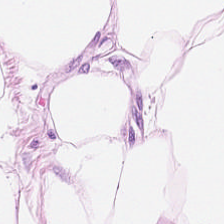0.5 µm per pixel · H&E-stained tissue section — Adipose tissue.
